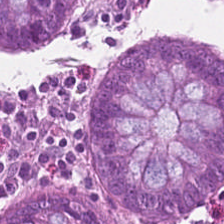This field is normal colonic mucosa.
